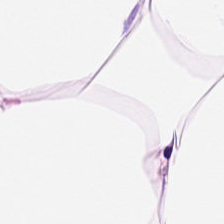Hematoxylin-and-eosin stained section — Classification: adipose.
